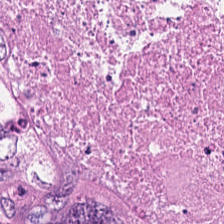224×224 pixel tile · FFPE tissue section · H&E-stained tissue section.
Tissue class = debris.
